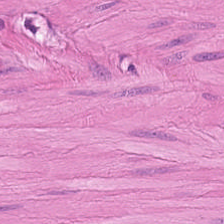H&E-stained tissue section.
This field is smooth muscle.
